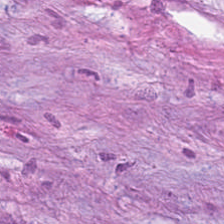Brightfield microscopy. H&E-stained tissue section — Tissue: tumor-associated stroma.
